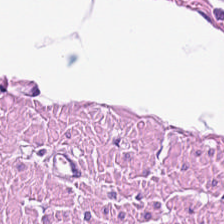Hematoxylin and eosin; FFPE tissue section. {"tissue_type": "muscularis"}
